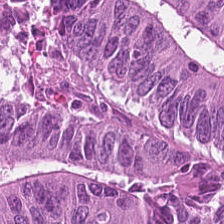Hematoxylin-and-eosin stained section.
{"tissue_type": "tumor epithelium"}
